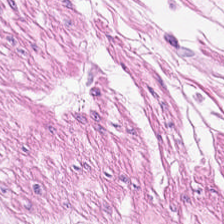Showing smooth muscle.
